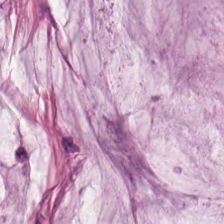Impression — extracellular mucin.
